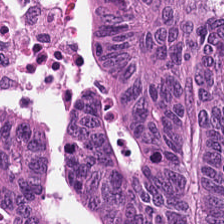H&E-stained tissue section. Colorectal adenocarcinoma.
